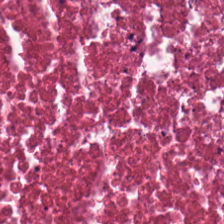Formalin-fixed paraffin-embedded section; hematoxylin and eosin — The tissue type is cellular debris.
